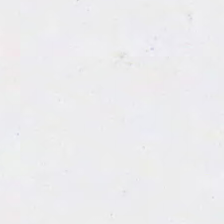H&E stain.
Content: no tissue.
